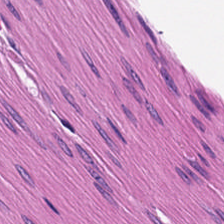Tissue = muscularis.
